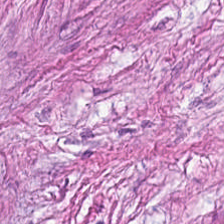H&E-stained tissue section showing cancer-associated stroma.
